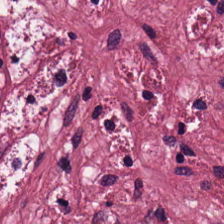FFPE; hematoxylin-and-eosin stained section — The tissue here is desmoplastic stroma.
